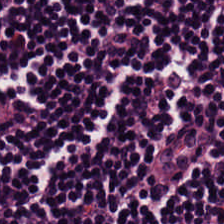H&E; 224×224 px patch; 0.5 microns per pixel — Q: Identify the tissue.
A: This is lymphocyte aggregate.
